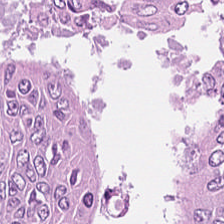H&E stain — Tissue — tumor epithelium.
